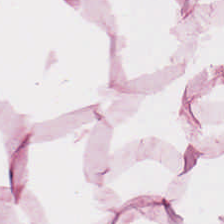H&E-stained tissue section — The predominant tissue is adipose.
